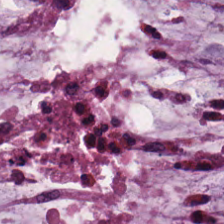0.5 µm per pixel. Hematoxylin and eosin.
The predominant tissue is mucus.
